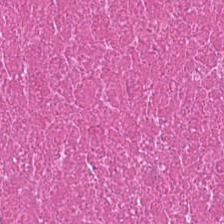The classification is cellular debris.
